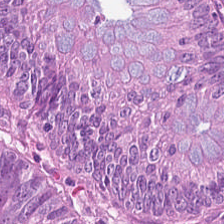Tissue class = malignant epithelium.
